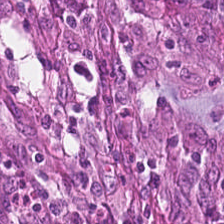H&E stain. Predominantly tumor epithelium.
